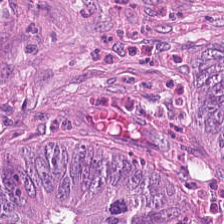Hematoxylin-and-eosin stained section. 224×224 pixel tile — {"tissue_type": "colorectal adenocarcinoma epithelium"}
